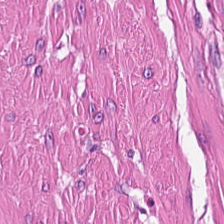H&E-stained tissue section. Whole-slide-image patch — This field is smooth-muscle tissue.
